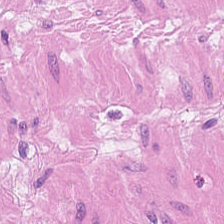H&E stain. 0.5 µm/px. WSI patch. Q: What is shown in this field?
A: Muscularis.
